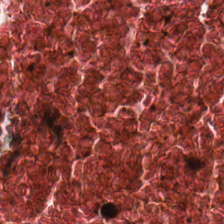0.5 microns per pixel; H&E — Finding → necrotic debris.
